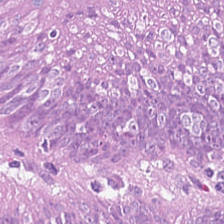H&E stain; 0.5 µm/px — Q: What is the predominant tissue type?
A: Tumor epithelium.
